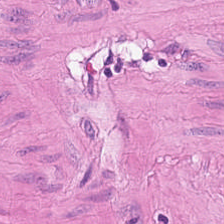Stain: hematoxylin-and-eosin stained section.
Resolution: 20× equivalent magnification.
Tissue type: muscularis.
